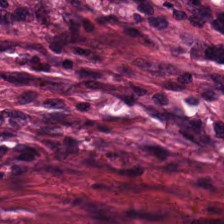H&E stain. Impression → tumor-associated stroma.
